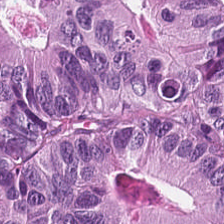Hematoxylin-and-eosin stained section; FFPE tissue section; 0.5 µm per pixel.
Predominantly malignant epithelium.
